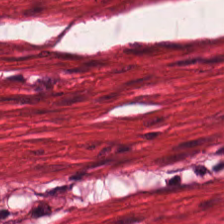Tissue = smooth-muscle tissue.
